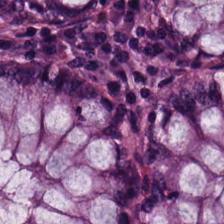Classification — normal colonic mucosa.
